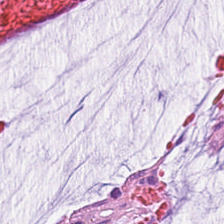Stain: hematoxylin-and-eosin stained section.
Tile size: 224×224 px tile.
Acquisition: whole-slide-image patch.
Classification: extracellular mucin.
